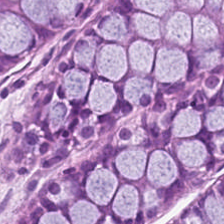224×224 px tile. Formalin-fixed paraffin-embedded section. H&E-stained tissue section. Predominantly normal colon mucosa.
